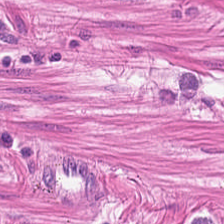Stain: H&E.
Tile size: 224×224 px tile.
Acquisition: brightfield.
Tissue type: smooth muscle.
